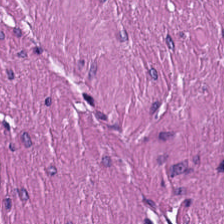H&E.
Smooth muscle.
